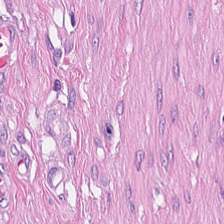224×224 px patch. H&E — Tissue type: desmoplastic stroma.
